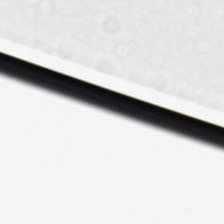H&E. This field is background (no tissue).
